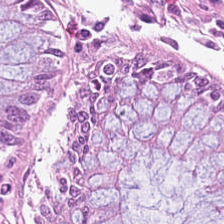FFPE tissue section. H&E. {"tissue_type": "normal colon mucosa"}
